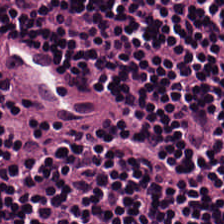Hematoxylin and eosin. 224×224 px tile — The predominant tissue is lymphoid infiltrate.
